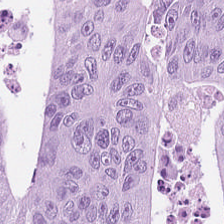H&E-stained tissue section. The predominant tissue is malignant epithelium.
